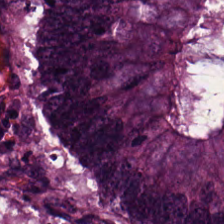WSI patch. H&E. Q: Classify this patch.
A: The field shows malignant epithelium.
